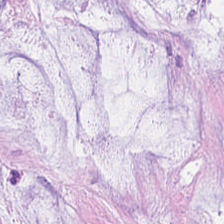Hematoxylin-and-eosin stained section. The predominant tissue is mucus.
